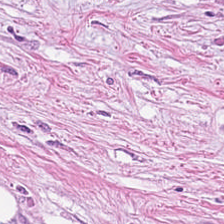Tissue class = tumor stroma.
